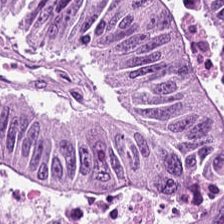H&E-stained tissue section. Predominant tissue = colorectal adenocarcinoma.
